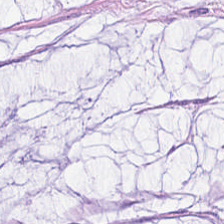Hematoxylin-and-eosin stained section. FFPE tissue section.
Classification = extracellular mucin.
